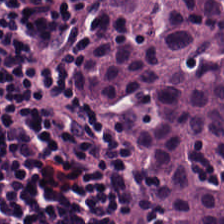H&E-stained tissue section.
Showing lymphocytes.
